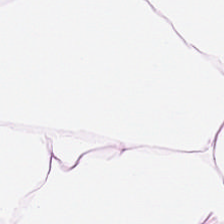Hematoxylin-and-eosin stained section. Q: What tissue is shown?
A: It is adipose tissue.
